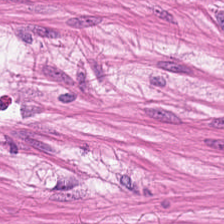Predominant tissue — smooth muscle.
